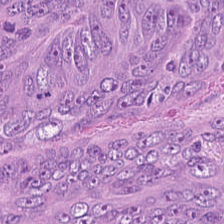H&E stain.
Impression — malignant epithelium.
